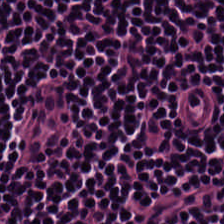Showing lymphoid infiltrate.
